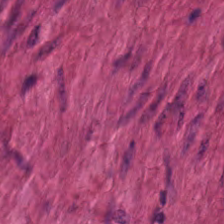Hematoxylin and eosin.
Showing smooth-muscle tissue.
